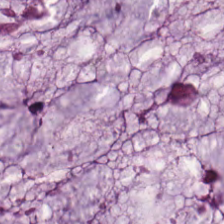224×224 pixel tile · hematoxylin and eosin. {"tissue_type": "mucin"}
